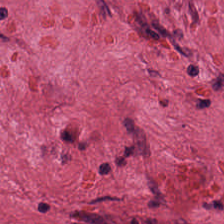Stain: H&E stain.
Resolution: 20× equivalent magnification.
Tissue class: tumor-associated stroma.
